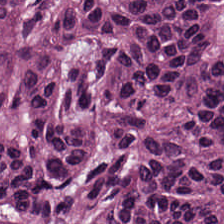H&E. 224×224 pixel tile — {"tissue_type": "tumor epithelium"}
